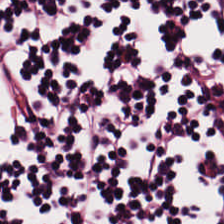H&E-stained tissue section; 0.5 µm/px.
Impression — lymphocytes.
